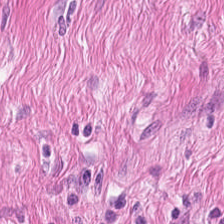H&E stain.
The tissue here is smooth muscle.
